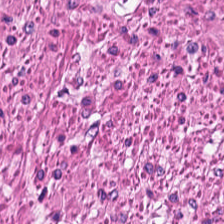H&E stain · 224×224 px tile.
Q: What is shown in this field?
A: Smooth muscle.
